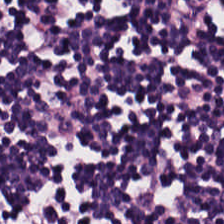Hematoxylin-and-eosin section: lymphocytes.
